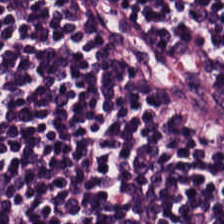Stain: H&E.
Predominant tissue: lymphocyte aggregate.
